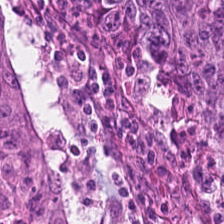H&E-stained tissue section — Q: Identify the tissue.
A: The field shows malignant epithelium.
